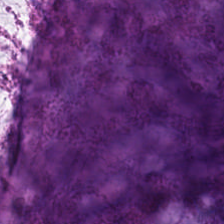H&E stain.
Predominant tissue = mucus.
